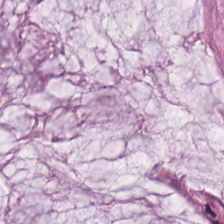H&E.
{"tissue_type": "mucin"}
